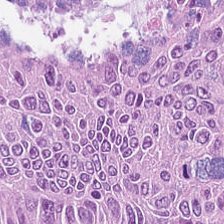Hematoxylin and eosin. Classification: tumor epithelium.
